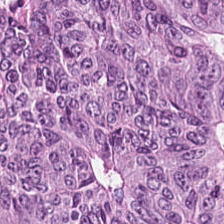224×224 px patch; H&E stain.
Tissue class: malignant epithelium.
